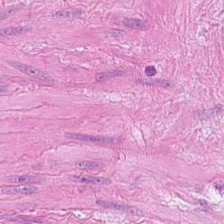Formalin-fixed paraffin-embedded section; 20× equivalent magnification; H&E stain. Muscularis.
